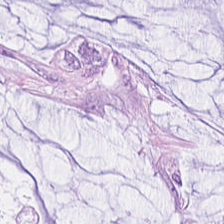Finding → mucus.
